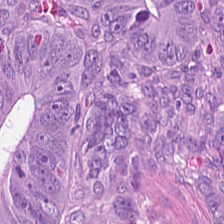H&E stain.
Predominantly colorectal adenocarcinoma.
